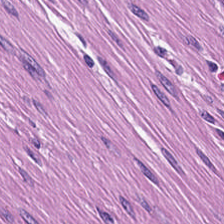H&E stain — Showing smooth muscle.
